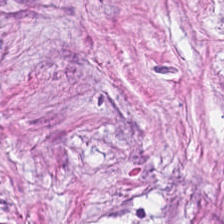224×224 pixel tile. H&E. This field is tumor-associated stroma.
